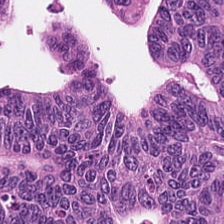Tumor epithelium.
